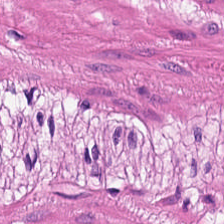Formalin-fixed paraffin-embedded section. Hematoxylin-and-eosin stained section.
Predominantly smooth-muscle tissue.
